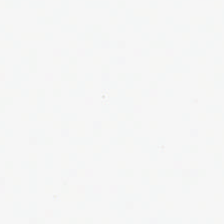224×224 pixel tile; hematoxylin-and-eosin stained section.
Background — no tissue in this field.
